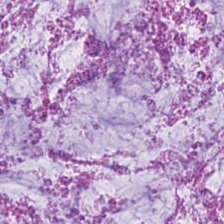Hematoxylin-and-eosin section: extracellular mucin.
